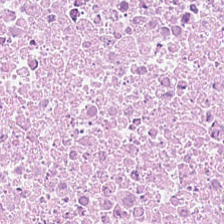H&E stain.
Histology → cellular debris.
